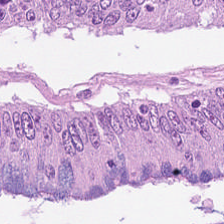H&E-stained tissue section · 0.5 µm/px. Impression — colorectal adenocarcinoma.
